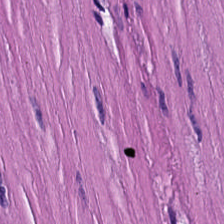H&E-stained tissue section — Finding → smooth muscle.
